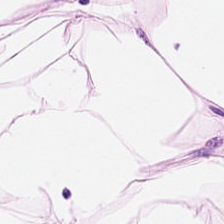H&E-stained tissue section · FFPE.
Histology — adipose tissue.
